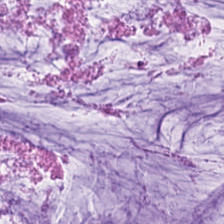FFPE tissue section · hematoxylin-and-eosin stained section. Finding — mucus.
